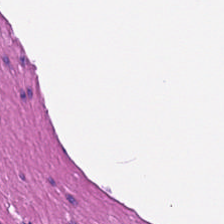Hematoxylin and eosin — Impression → muscularis.
